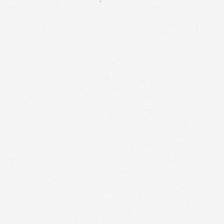H&E stain.
Background — no tissue in this field.
